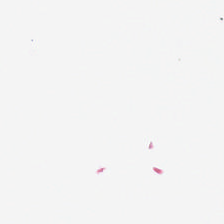Hematoxylin and eosin; 20× equivalent magnification. Background — no tissue in this field.
